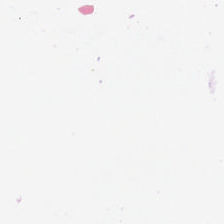Hematoxylin and eosin.
This field is background (no tissue).
